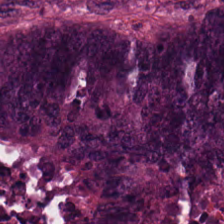Tissue = tumor epithelium.
